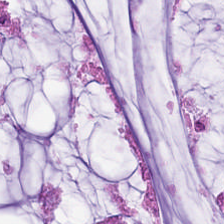H&E-stained tissue section.
The tissue here is mucus.
